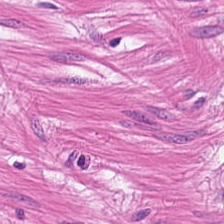Smooth-muscle tissue.
